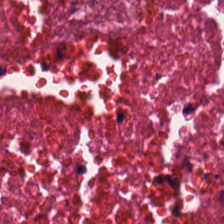{"tissue_type": "necrotic debris"}
